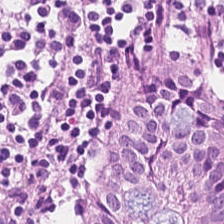{"tissue_type": "normal colonic mucosa"}
